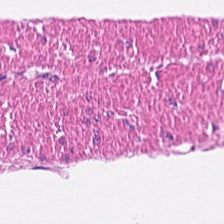Finding — smooth-muscle tissue.
